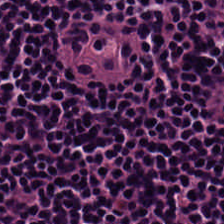{"tissue_type": "lymphocytes"}
